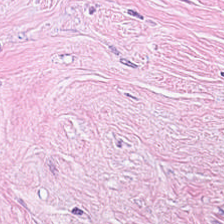224×224 px tile · WSI patch · H&E.
Q: What is shown here?
A: The field shows tumor stroma.
